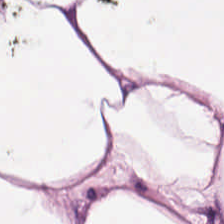H&E-stained tissue section.
The predominant tissue is adipocytes.
